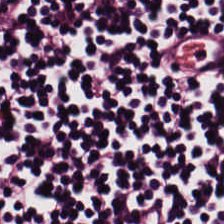FFPE · H&E stain — Tissue class: lymphoid infiltrate.
